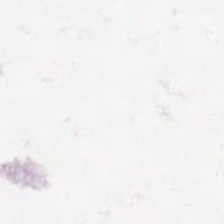H&E.
Field content — background.
